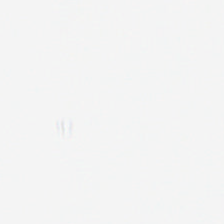{"content": "no tissue"}
